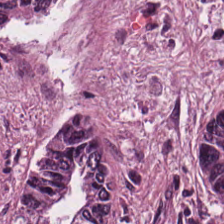224×224 pixel tile; H&E-stained tissue section — The tissue here is colorectal adenocarcinoma.
